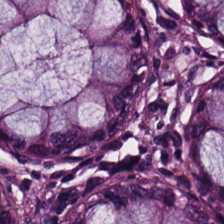H&E — Q: What tissue type is shown here?
A: It is normal colon mucosa.
